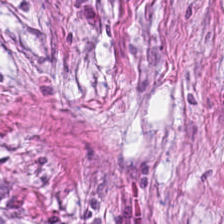Predominantly tumor-associated stroma.
